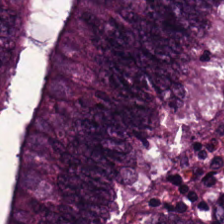{"tissue_type": "colorectal adenocarcinoma"}
